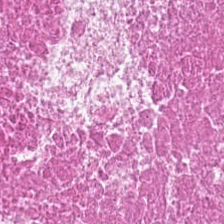Hematoxylin-and-eosin section: cellular debris.
